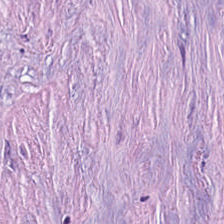H&E-stained tissue section.
Predominantly desmoplastic stroma.
